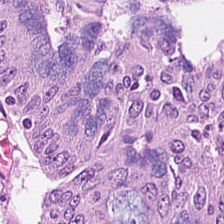H&E stain. Tissue class: colorectal adenocarcinoma epithelium.
